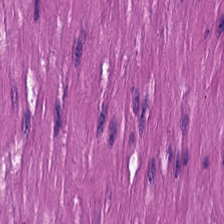Stain: H&E stain.
Preparation: formalin-fixed paraffin-embedded section.
Tissue type: smooth-muscle tissue.
